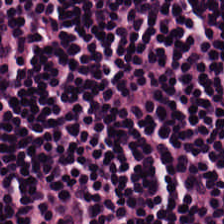FFPE tissue section; 224×224 pixel tile; hematoxylin and eosin — Tissue — lymphoid infiltrate.
